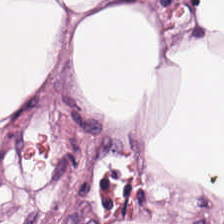H&E-stained tissue section. Q: What is shown in this field?
A: This is adipose tissue.
